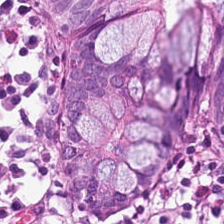H&E patch showing benign colonic mucosa.
